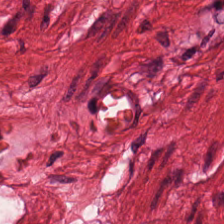H&E stain. Predominantly muscularis.
